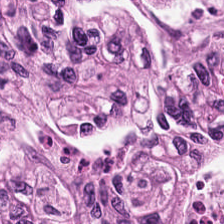Tumor epithelium.
